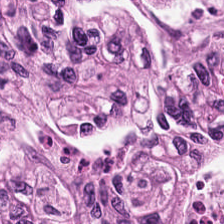Tumor epithelium.
